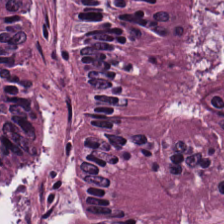224×224 px patch; hematoxylin-and-eosin stained section; 0.5 µm per pixel. The predominant tissue is tumor epithelium.
